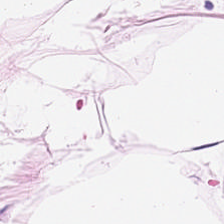Brightfield. Hematoxylin-and-eosin stained section. Impression — fat tissue.
